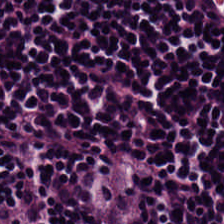Tissue: lymphocytes.
